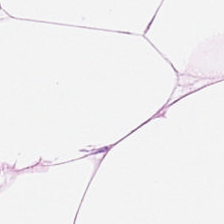FFPE. 20× equivalent magnification. Hematoxylin-and-eosin stained section — Histology → adipose.
